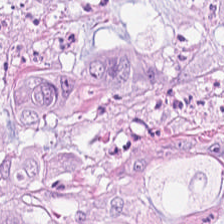H&E-stained tissue section.
Showing colorectal adenocarcinoma epithelium.
